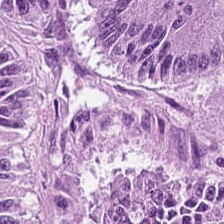Brightfield microscopy. 224×224 px patch. H&E. Q: What type of tissue is this?
A: It is adenocarcinoma.
